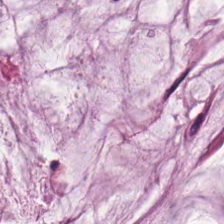H&E stain; 224×224 px tile.
The tissue here is mucus.
